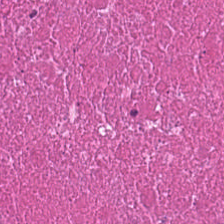Hematoxylin and eosin.
Classification = cellular debris.
